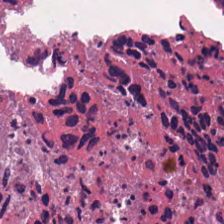H&E-stained tissue section.
Impression → necrotic debris.
